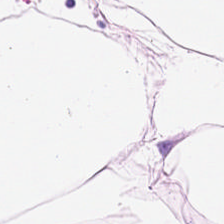Formalin-fixed paraffin-embedded section. H&E stain. {"tissue_type": "adipose tissue"}
